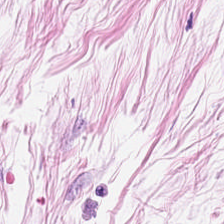Hematoxylin and eosin.
Adipose tissue.
